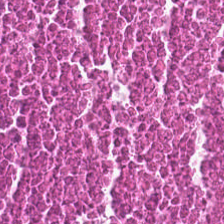{"tissue_type": "cellular debris"}
